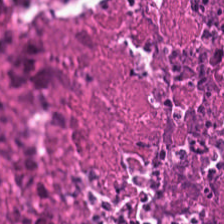224×224 px patch. Hematoxylin-and-eosin stained section — Predominantly necrotic debris.
